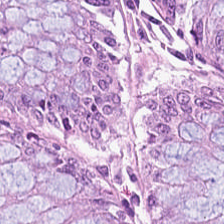Whole-slide-image patch. FFPE tissue section. Hematoxylin-and-eosin stained section — Tissue: normal colonic mucosa.
